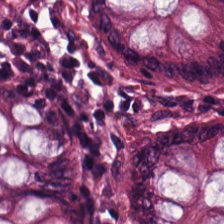H&E-stained tissue section. FFPE tissue section. Q: What tissue is shown?
A: This is non-neoplastic colon mucosa.
